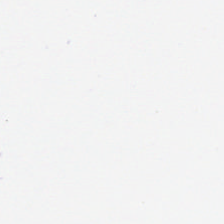Whole-slide-image patch · H&E-stained tissue section. Histology → background.
